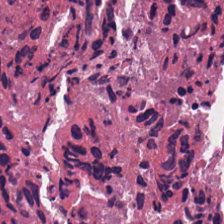H&E stain. Necrotic debris.
